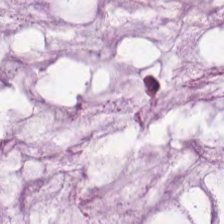H&E-stained tissue section — Q: What is the predominant tissue type?
A: The field shows mucus.
